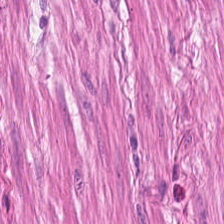0.5 µm per pixel; WSI patch; H&E-stained tissue section. This field is smooth muscle.
